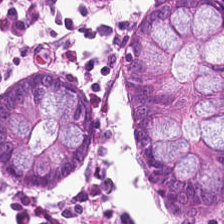Q: Classify this patch.
A: The field shows normal colonic mucosa.
